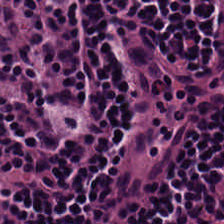H&E-stained tissue section; 20× equivalent magnification. Q: What is shown in this field?
A: Lymphocyte aggregate.
